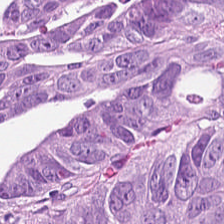Hematoxylin-and-eosin stained section. This patch shows tumor epithelium.
